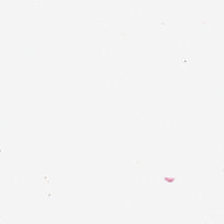Hematoxylin-and-eosin stained section · 224×224 px patch. Empty background.
